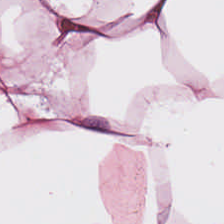FFPE tissue section. Hematoxylin and eosin.
Showing adipocytes.
